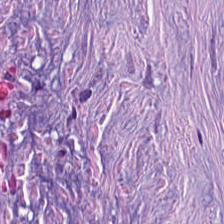Stain: H&E.
Tile size: 224×224 px patch.
Tissue class: tumor-associated stroma.
